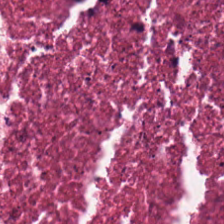Stain: hematoxylin-and-eosin stained section.
Resolution: 0.5 µm per pixel.
Predominant tissue: debris.
